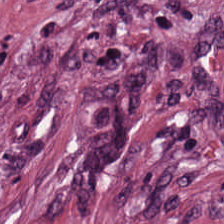Hematoxylin-and-eosin stained section.
Tissue type = tumor stroma.
